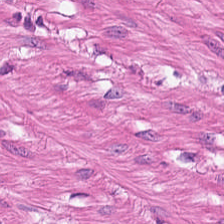The tissue type is smooth-muscle tissue.
